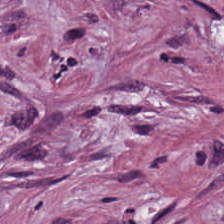FFPE tissue section. H&E.
{"tissue_type": "tumor stroma"}
